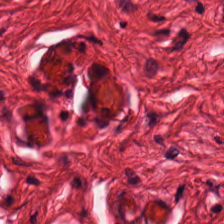H&E stain.
Q: Classify this patch.
A: Smooth-muscle tissue.
